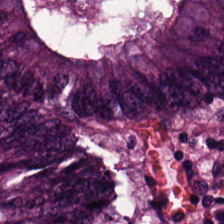FFPE tissue section · H&E — Histology — colorectal adenocarcinoma.
